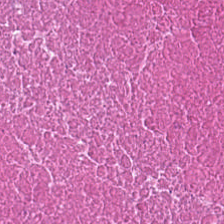Stain: H&E-stained tissue section.
Resolution: 0.5 µm/px.
Tissue: cellular debris.
